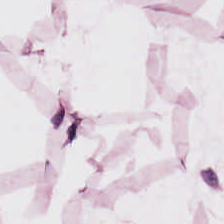H&E-stained tissue section — The predominant tissue is adipose.
